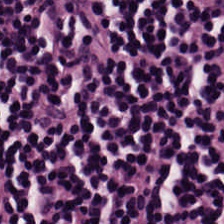The predominant tissue is lymphocytes.
